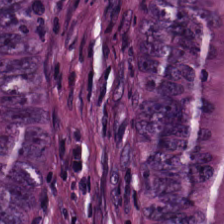Tissue — colorectal adenocarcinoma epithelium.
